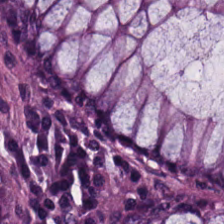Hematoxylin and eosin · FFPE — Predominant tissue — normal colon mucosa.
